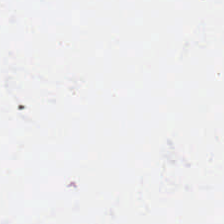H&E-stained tissue section — Impression — no tissue.
